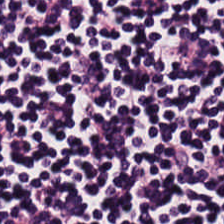H&E stain — This field is lymphoid infiltrate.
